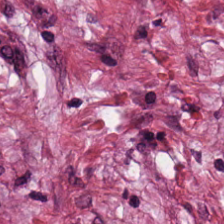Stain: hematoxylin and eosin.
Tissue class: cancer-associated stroma.
